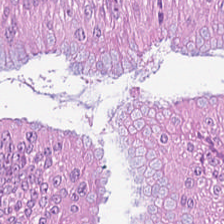FFPE · H&E stain.
The tissue type is colorectal adenocarcinoma epithelium.
